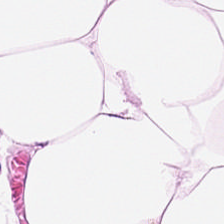H&E stain; 20× equivalent magnification — Q: What tissue is shown?
A: Adipocytes.
